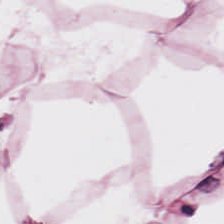Q: Classify this patch.
A: This is adipose.
